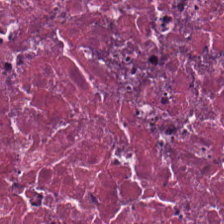Hematoxylin-and-eosin section: necrotic debris.
